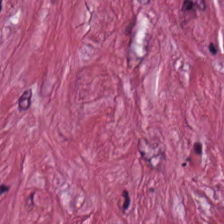H&E. Q: What does this patch show?
A: It is tumor stroma.
